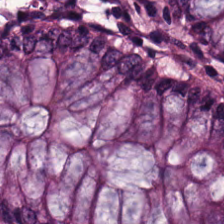Normal colon mucosa.
